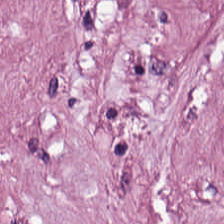H&E stain. Tissue = tumor-associated stroma.
